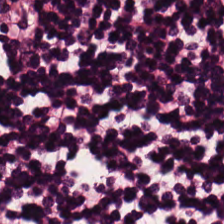H&E — lymphocytic infiltrate.
